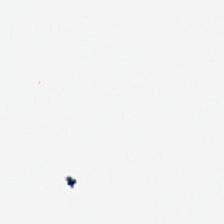FFPE tissue section; 0.5 µm/px; H&E stain. This patch shows background (no tissue).
